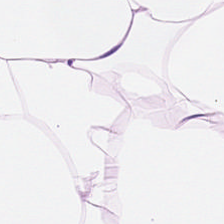H&E-stained tissue section.
Q: Classify this patch.
A: It is adipose tissue.
